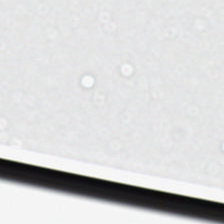0.5 µm/px; H&E-stained tissue section. Q: What is shown in this field?
A: The field shows background.
